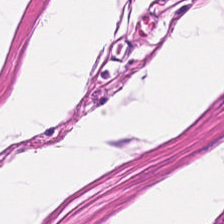Hematoxylin-and-eosin section: muscularis.
